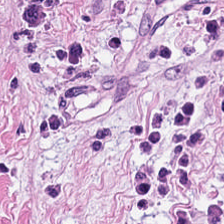H&E; formalin-fixed paraffin-embedded section; 20× equivalent magnification — Q: What is the predominant tissue type?
A: It is cancer-associated stroma.
